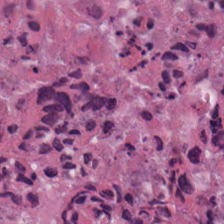Histology → cellular debris.
